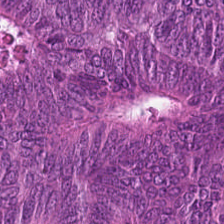FFPE; H&E; brightfield. {"tissue_type": "tumor epithelium"}
